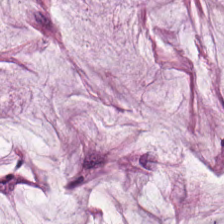Hematoxylin-and-eosin stained section.
Histology — mucus.
